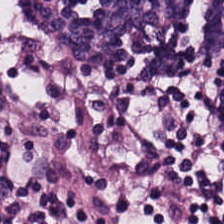Q: Classify this patch.
A: The field shows lymphoid infiltrate.
